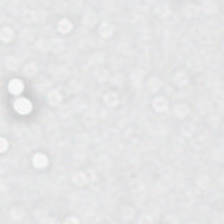Stain: hematoxylin-and-eosin stained section.
Field content: no tissue.
